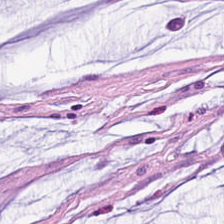Formalin-fixed paraffin-embedded section; 224×224 pixel tile; H&E-stained tissue section. This field is extracellular mucin.
